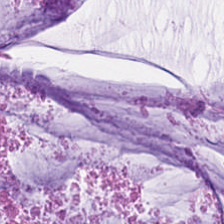Mucus.
